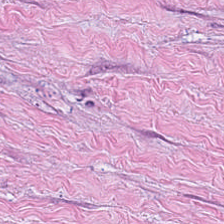Hematoxylin and eosin.
Tissue type = tumor-associated stroma.
